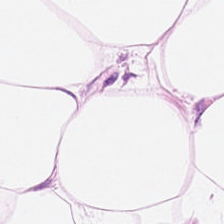Stain: H&E-stained tissue section.
Tissue class: adipose tissue.
